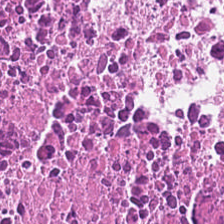224×224 px patch. H&E stain. FFPE tissue section — Tissue type: necrotic debris.
